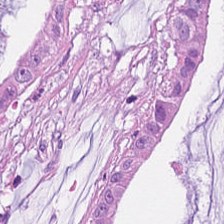Hematoxylin-and-eosin stained section; brightfield microscopy — Tissue class = mucin.
